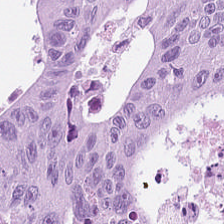224×224 px tile; hematoxylin and eosin.
{"tissue_type": "malignant epithelium"}
